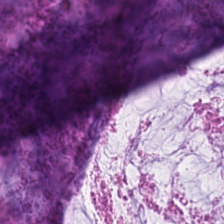H&E. Finding — mucus.
